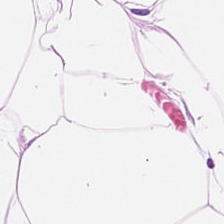H&E — Predominantly fat tissue.
